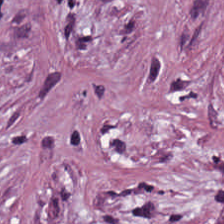Stain: hematoxylin and eosin.
Resolution: 20× equivalent magnification.
Tissue: tumor stroma.
